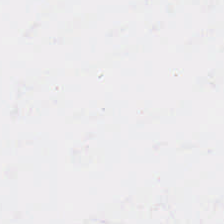{"content": "no tissue"}
